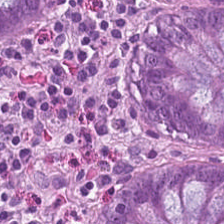0.5 µm per pixel. H&E-stained tissue section. This patch shows normal colon mucosa.
